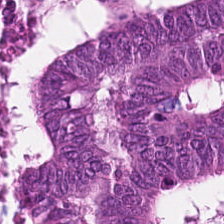H&E — Predominantly tumor epithelium.
